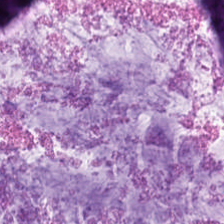H&E — mucin.
